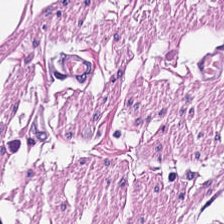Hematoxylin-and-eosin stained section. Brightfield — Histology — smooth-muscle tissue.
